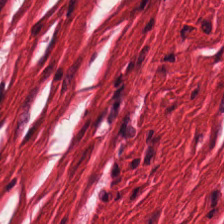224×224 px patch · hematoxylin-and-eosin stained section. Smooth muscle.
